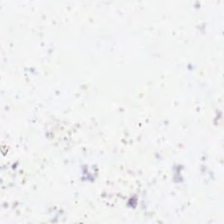224×224 px patch · hematoxylin-and-eosin stained section — This patch shows empty background.
